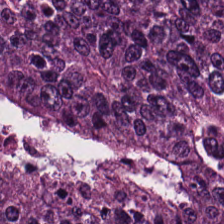Stain: H&E stain.
Resolution: 0.5 µm per pixel.
Preparation: FFPE.
Classification: adenocarcinoma.
